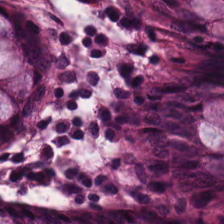Stain: H&E.
Tile size: 224×224 px tile.
Preparation: FFPE tissue section.
Tissue type: non-neoplastic colon mucosa.
